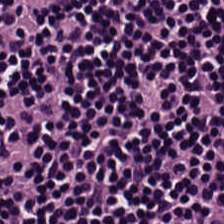Tissue type = lymphocytes.
